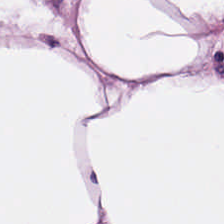Formalin-fixed paraffin-embedded section; hematoxylin and eosin.
Showing fat tissue.
